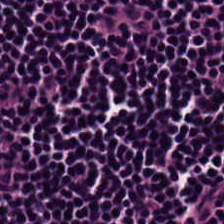H&E stain. Impression — lymphocytes.
